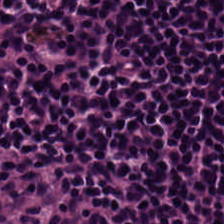Stain: H&E-stained tissue section.
Classification: lymphoid infiltrate.
